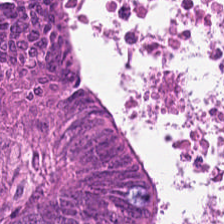Brightfield · hematoxylin-and-eosin stained section. The predominant tissue is colorectal adenocarcinoma.
